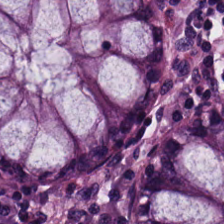Stain: H&E-stained tissue section.
Tissue class: benign colonic mucosa.
